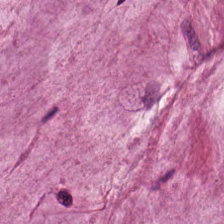Predominantly mucus.
